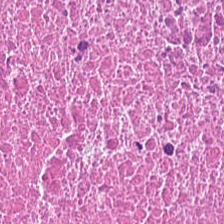0.5 µm/px; hematoxylin-and-eosin stained section. The predominant tissue is cellular debris.
